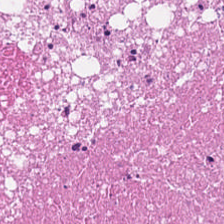H&E-stained tissue section. This field is debris.
